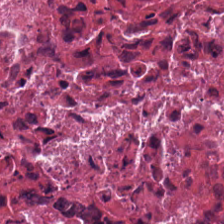Impression — necrotic debris.
